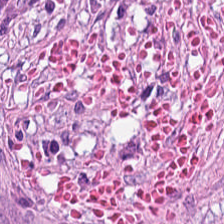Hematoxylin-and-eosin stained section — Predominantly tumor-associated stroma.
